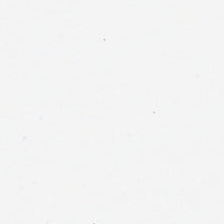H&E stain.
This field is background (no tissue).
